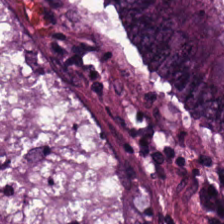H&E-stained tissue section — Tissue — adenocarcinoma.
